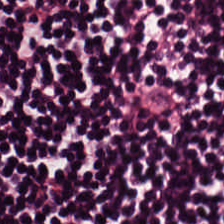H&E-stained tissue section.
Finding — lymphocyte aggregate.
